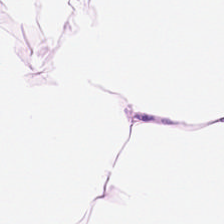H&E stain. This patch shows adipose.
